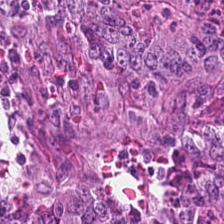Brightfield · FFPE tissue section · H&E-stained tissue section — Q: What is shown here?
A: It is malignant epithelium.
